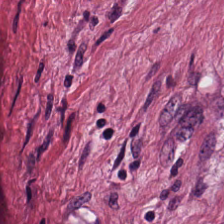Stain: hematoxylin-and-eosin stained section.
Preparation: formalin-fixed paraffin-embedded section.
Classification: tumor stroma.
